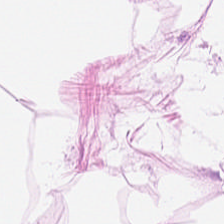Q: What is shown in this field?
A: Adipose.
